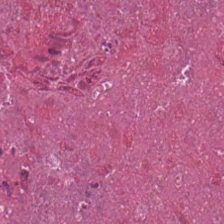Histology → necrotic debris.
